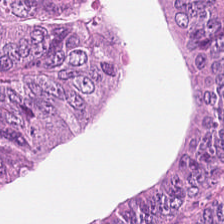H&E stain; 224×224 px tile. Classification = malignant epithelium.
